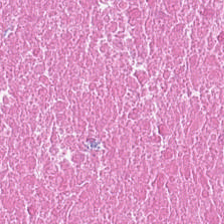H&E.
{"tissue_type": "necrotic debris"}
